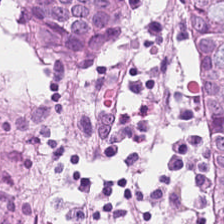Brightfield · H&E-stained tissue section. Predominantly non-neoplastic colon mucosa.
